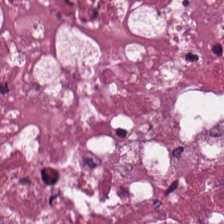224×224 pixel tile · H&E.
Impression — necrotic debris.
